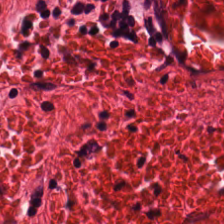H&E-stained tissue section.
The tissue here is smooth muscle.
